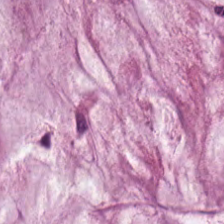Hematoxylin-and-eosin stained section.
The tissue here is mucin.
